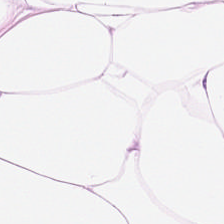Brightfield microscopy; H&E stain.
Tissue class = adipose tissue.
